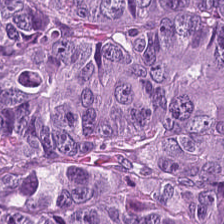H&E-stained tissue section showing colorectal adenocarcinoma epithelium.
